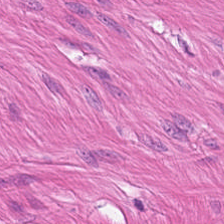The tissue class is muscularis.
